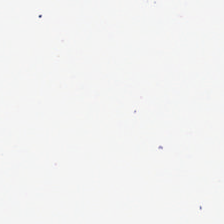H&E — Q: What is shown in this field?
A: It is no tissue.
